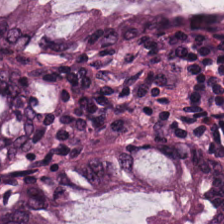Hematoxylin-and-eosin stained section. Q: What does this patch show?
A: It is benign colonic mucosa.
